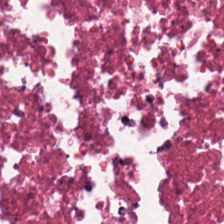Hematoxylin-and-eosin stained section. FFPE tissue section. 224×224 px tile.
Tissue class — necrotic debris.
